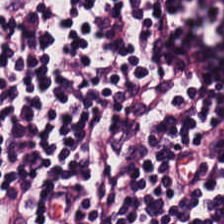Hematoxylin-and-eosin section: lymphoid infiltrate.
